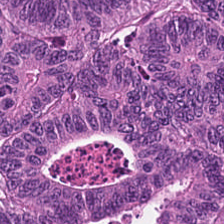Impression — colorectal adenocarcinoma.
